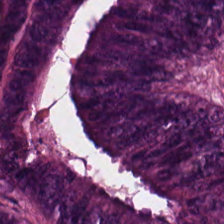0.5 microns per pixel. Hematoxylin and eosin.
This patch shows tumor epithelium.
